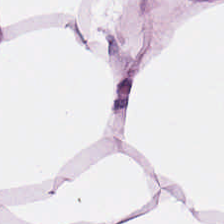0.5 microns per pixel · H&E-stained tissue section. Tissue type: adipose.
